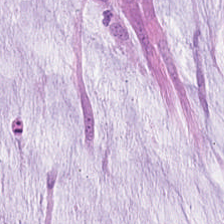H&E; 224×224 px tile — The tissue here is mucin.
